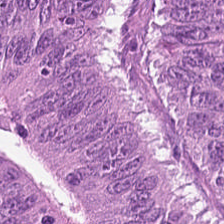H&E-stained tissue section.
Showing colorectal adenocarcinoma epithelium.
